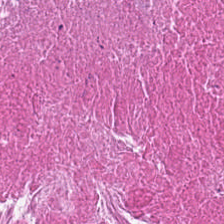Hematoxylin and eosin.
Q: What does this patch show?
A: The field shows debris.
